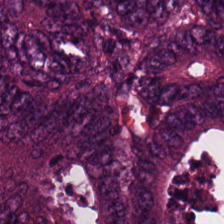WSI patch. FFPE tissue section. Hematoxylin-and-eosin stained section — Finding — colorectal adenocarcinoma.
